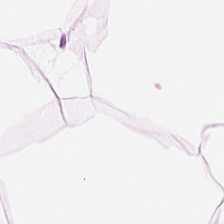Hematoxylin and eosin. FFPE. Predominantly adipose.
